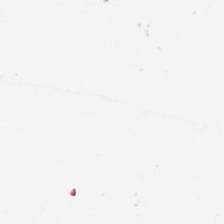H&E stain. FFPE. Background — no tissue in this field.
